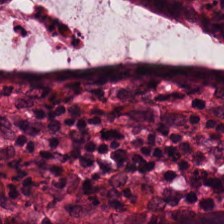Hematoxylin-and-eosin stained section — Q: What does this patch show?
A: It is normal colonic mucosa.
